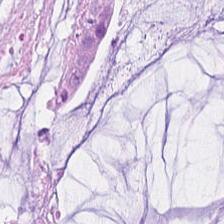Hematoxylin and eosin; 224×224 px patch; whole-slide-image patch. {"tissue_type": "mucus"}
